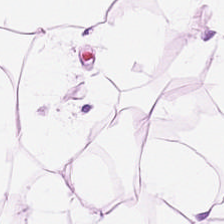Hematoxylin-and-eosin stained section. Tissue class — adipose.
